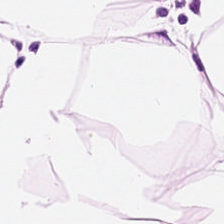0.5 µm per pixel; H&E stain; brightfield. The tissue here is adipose.
